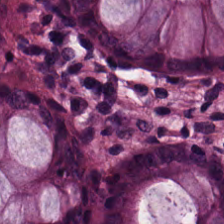H&E. 224×224 px tile — Impression — benign colonic mucosa.
